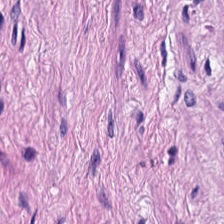Stain: H&E stain.
Preparation: FFPE tissue section.
Predominant tissue: muscularis.
